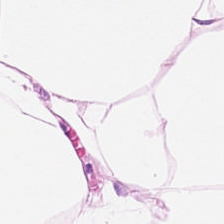Hematoxylin and eosin. Tissue = adipocytes.
